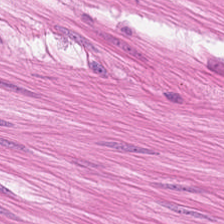Hematoxylin and eosin. Smooth muscle.
